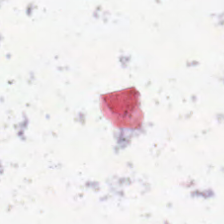Hematoxylin and eosin.
Q: Classify this patch.
A: This is no tissue.
